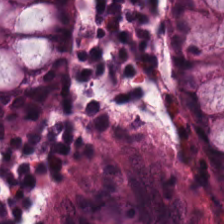Hematoxylin and eosin. Classification — benign colonic mucosa.
